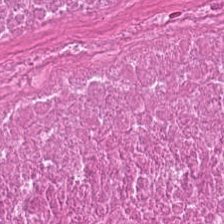H&E stain. Formalin-fixed paraffin-embedded section — Predominantly debris.
